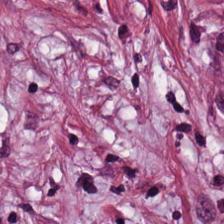FFPE · hematoxylin and eosin · 224×224 px patch.
Finding → cancer-associated stroma.
